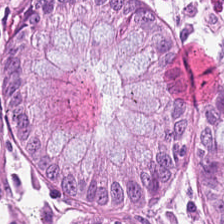Brightfield; H&E-stained tissue section. Predominantly benign colonic mucosa.
